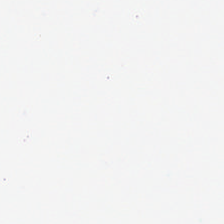Empty field — empty background.
